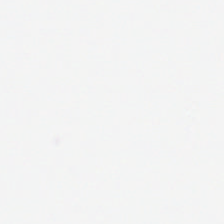H&E-stained tissue section — Finding — no tissue.
